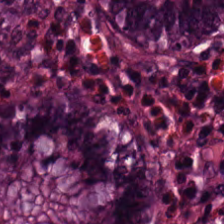H&E stain. This patch shows non-neoplastic colon mucosa.
